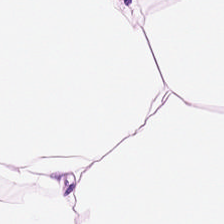224×224 px patch. FFPE. Hematoxylin-and-eosin stained section. Predominantly adipose.
